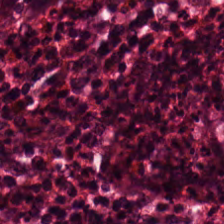Hematoxylin and eosin.
Tissue type — normal colon mucosa.
